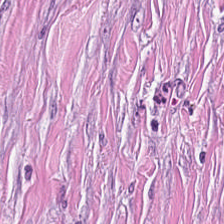224×224 px tile. H&E.
Tissue — tumor stroma.
